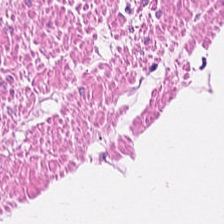H&E-stained tissue section. Predominantly smooth-muscle tissue.
